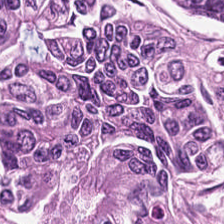FFPE; H&E. Malignant epithelium.
